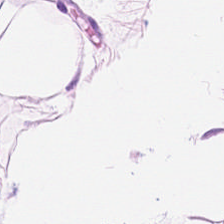Tissue = adipocytes.
